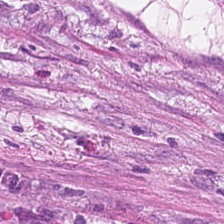Q: Identify the tissue.
A: The field shows tumor stroma.
